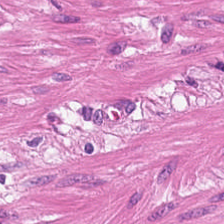224×224 px tile; H&E; 0.5 µm per pixel.
Predominantly smooth muscle.
